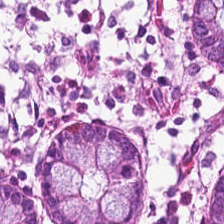Hematoxylin and eosin. 0.5 µm/px. 224×224 px tile. Q: Classify this patch.
A: This is benign colonic mucosa.
